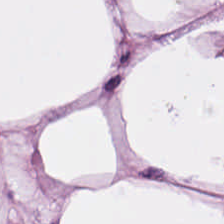H&E stain.
Impression → adipose tissue.
